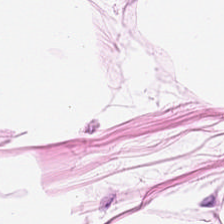224×224 px patch · hematoxylin and eosin · FFPE tissue section. The tissue type is adipose tissue.
